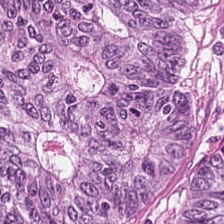Stain: H&E stain.
Tissue type: colorectal adenocarcinoma epithelium.
